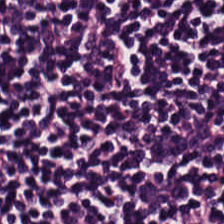H&E-stained tissue section. 224×224 pixel tile. Predominantly lymphocytes.
